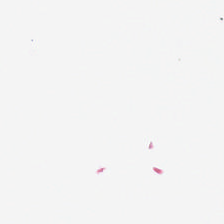Stain: hematoxylin and eosin.
Field content: background.
